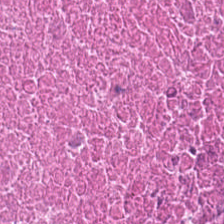Hematoxylin and eosin. 0.5 µm/px.
The tissue here is cellular debris.
